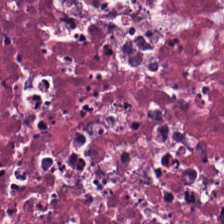Hematoxylin-and-eosin stained section. This patch shows debris.
